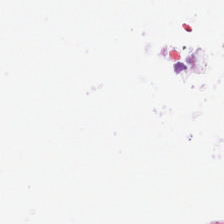H&E stain.
Finding — background (no tissue).
